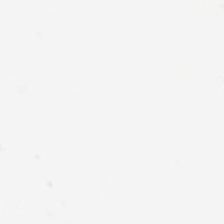H&E stain.
Classification: background (no tissue).
